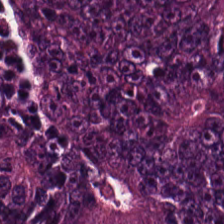Hematoxylin and eosin.
Q: What is shown in this field?
A: The field shows tumor epithelium.
